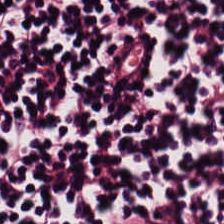H&E. FFPE tissue section — Impression → lymphoid infiltrate.
